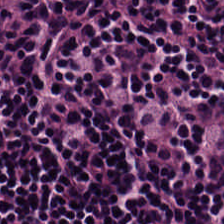Brightfield; 224×224 pixel tile; hematoxylin and eosin. Predominantly lymphoid infiltrate.
